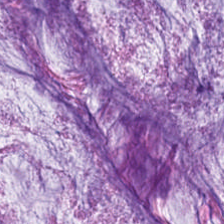Histology — mucin.
